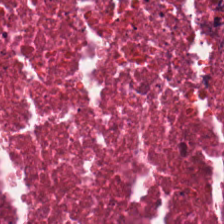20× equivalent magnification · 224×224 px patch · hematoxylin-and-eosin stained section.
Q: Identify the tissue.
A: This is cellular debris.
